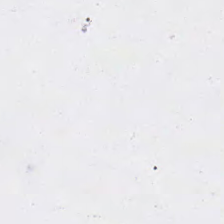Background.
